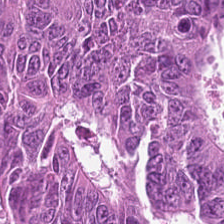Hematoxylin-and-eosin stained section — Q: What tissue is shown?
A: This is colorectal adenocarcinoma epithelium.
